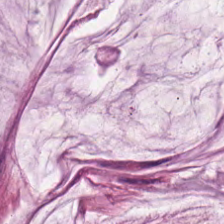Predominant tissue = mucin.
